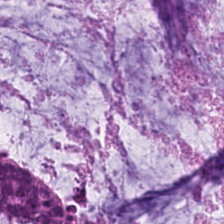Stain: H&E stain.
Tissue class: mucus.
